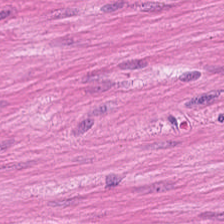20× equivalent magnification. H&E-stained tissue section. 224×224 pixel tile — Q: What is shown in this field?
A: The field shows smooth-muscle tissue.
